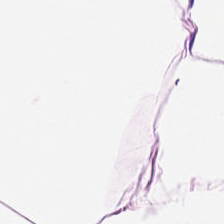Hematoxylin and eosin — This patch shows adipose.
